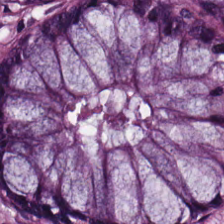224×224 px tile; H&E-stained tissue section.
Q: Identify the tissue.
A: It is normal colonic mucosa.
